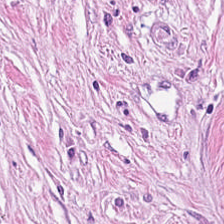Hematoxylin and eosin — Tissue class — tumor-associated stroma.
